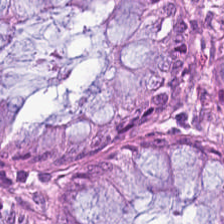224×224 px patch. Brightfield. H&E-stained tissue section.
Finding — normal colonic mucosa.
